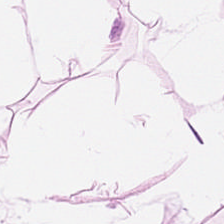Stain: hematoxylin-and-eosin stained section.
Tissue type: fat tissue.
